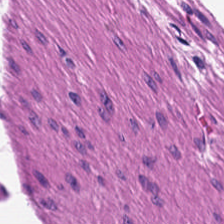H&E; 224×224 px patch.
Q: What is shown here?
A: It is smooth-muscle tissue.
